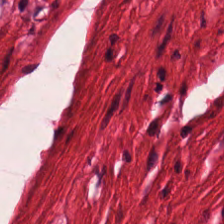Hematoxylin-and-eosin stained section.
Tissue class: muscularis.
